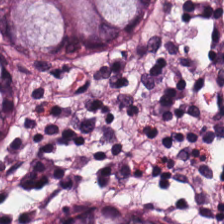H&E.
Tissue = benign colonic mucosa.
